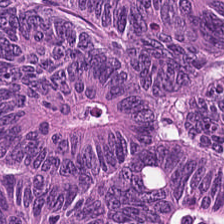Brightfield microscopy · H&E stain · FFPE — The tissue here is colorectal adenocarcinoma epithelium.
